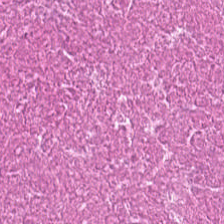H&E stain. Debris.
